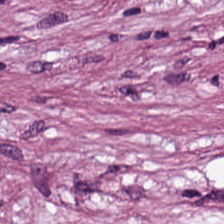Q: What does this patch show?
A: It is tumor stroma.
